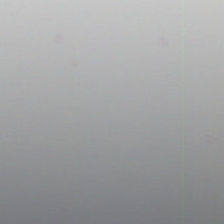0.5 µm/px · H&E stain. Q: Classify this patch.
A: Background (no tissue).
